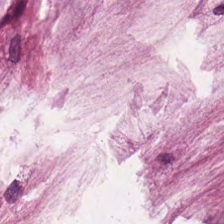H&E-stained tissue section. Q: What is the predominant tissue type?
A: It is mucin.
